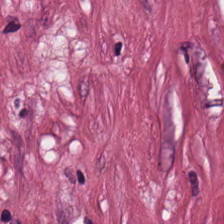H&E patch showing tumor stroma.
